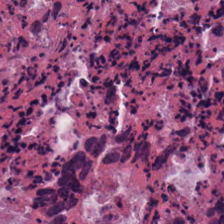H&E-stained tissue section.
Tissue — necrotic debris.
